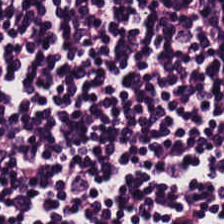Q: What tissue is shown?
A: It is lymphocytic infiltrate.
